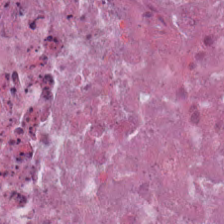Brightfield microscopy · H&E-stained tissue section · 0.5 µm/px — {"tissue_type": "debris"}
